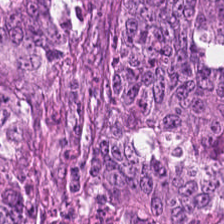Stain: H&E stain.
Classification: adenocarcinoma.
